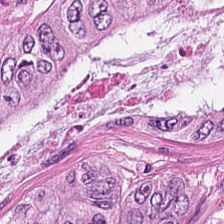H&E patch showing colorectal adenocarcinoma.
